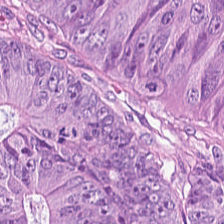H&E. Showing colorectal adenocarcinoma epithelium.
